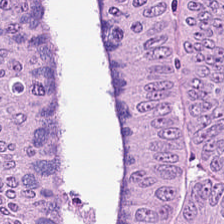H&E-stained section; the field shows colorectal adenocarcinoma.
